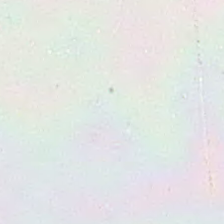H&E stain · FFPE.
This field is background (no tissue).
